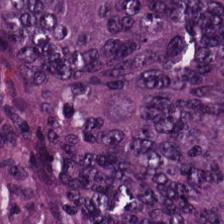H&E-stained tissue section — Histology — malignant epithelium.
